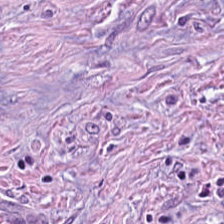H&E-stained tissue section.
Desmoplastic stroma.
